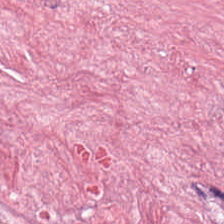Brightfield · H&E stain · FFPE — Impression → cancer-associated stroma.
